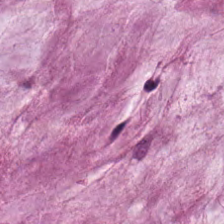224×224 pixel tile · hematoxylin and eosin · FFPE.
Q: Classify this patch.
A: It is mucin.
